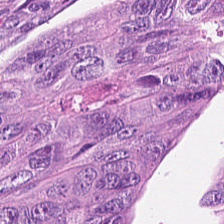Hematoxylin-and-eosin stained section. Tumor epithelium.
